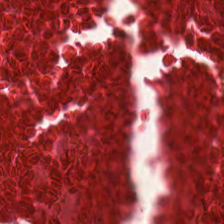Hematoxylin and eosin. 224×224 pixel tile. 0.5 µm per pixel.
Finding → debris.
